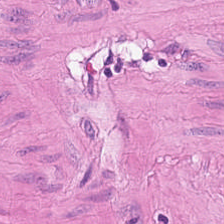Classification — muscularis.
